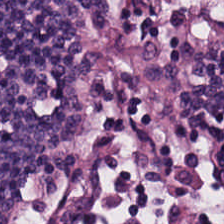FFPE; H&E stain; 0.5 microns per pixel.
The predominant tissue is lymphocyte aggregate.
